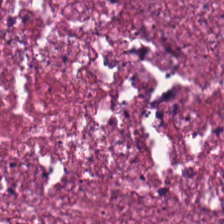H&E-stained tissue section — Classification — cellular debris.
